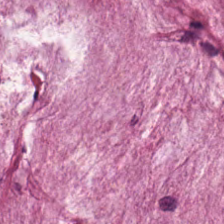Finding — mucin.
